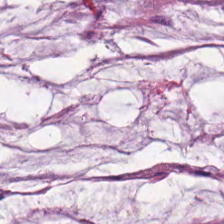Hematoxylin and eosin.
Tissue class: mucin.
